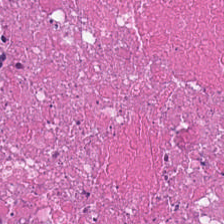H&E-stained tissue section. Tissue — debris.
